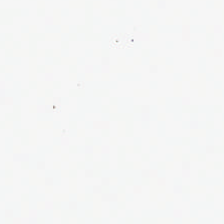Field content: background (no tissue).
